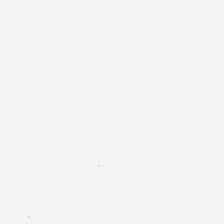This field is background (no tissue).
